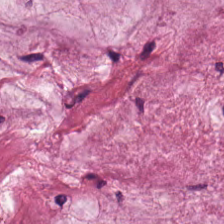Impression → mucin.
